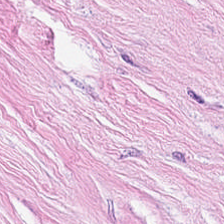Hematoxylin and eosin.
Tumor-associated stroma.
